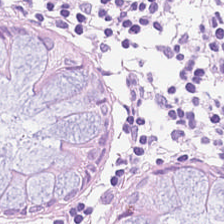Hematoxylin and eosin. The tissue here is benign colonic mucosa.
